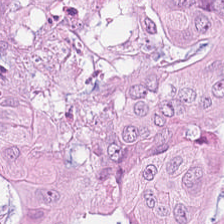H&E stain · 224×224 px patch — Tissue: tumor epithelium.
